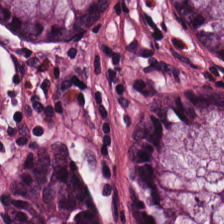Impression → benign colonic mucosa.
